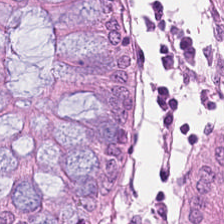H&E patch showing benign colonic mucosa.
